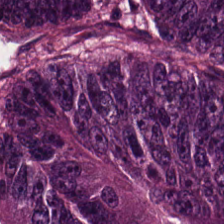Stain: H&E.
Tissue type: colorectal adenocarcinoma epithelium.
